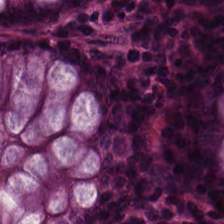Hematoxylin and eosin. Classification — normal colon mucosa.
